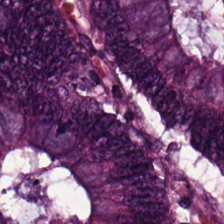H&E · FFPE tissue section — The predominant tissue is colorectal adenocarcinoma.
